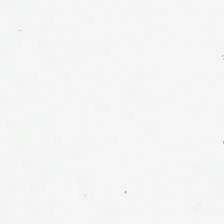Whole-slide-image patch; hematoxylin and eosin; FFPE.
Histology → empty background.
